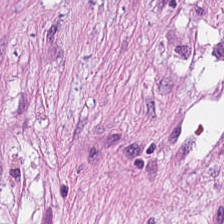224×224 px tile; H&E.
Predominantly tumor stroma.
